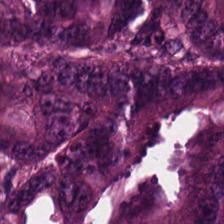Stain: H&E stain.
Predominant tissue: colorectal adenocarcinoma epithelium.
